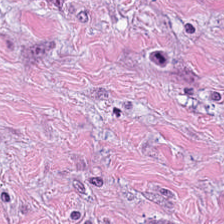H&E. 224×224 px patch.
Predominant tissue — tumor stroma.
